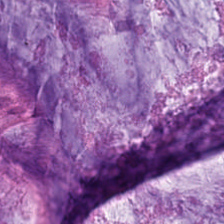Stain: H&E stain.
Resolution: 0.5 µm per pixel.
Preparation: formalin-fixed paraffin-embedded section.
Tissue type: mucin.
